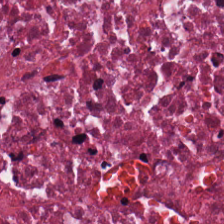Stain: hematoxylin and eosin.
Predominant tissue: debris.
